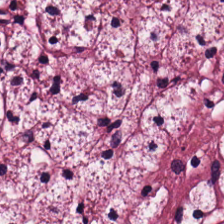Tissue type: cancer-associated stroma.
